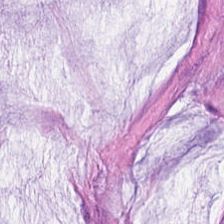224×224 pixel tile. H&E-stained tissue section — The tissue type is extracellular mucin.
